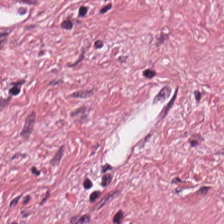Hematoxylin-and-eosin stained section. 224×224 px tile. FFPE tissue section — Q: What is the predominant tissue type?
A: It is tumor stroma.
